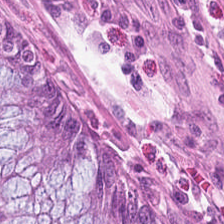Q: Classify this patch.
A: Benign colonic mucosa.
